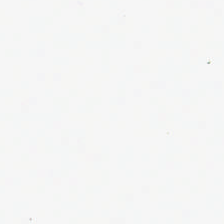H&E; 0.5 µm/px; 224×224 px patch.
Classification — no tissue.
